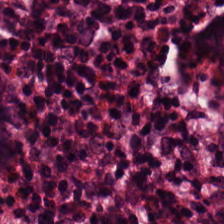H&E stain — The tissue here is benign colonic mucosa.
